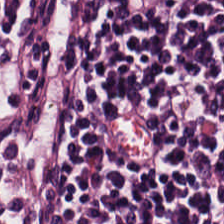224×224 px tile · H&E-stained tissue section · 0.5 µm per pixel — {"tissue_type": "lymphocytes"}
